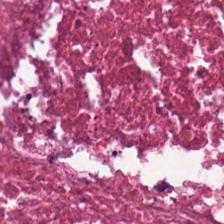H&E-stained tissue section. The tissue class is necrotic debris.
